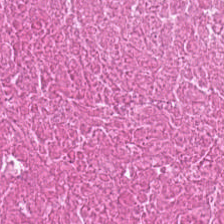Hematoxylin-and-eosin stained section. Tissue type = cellular debris.
